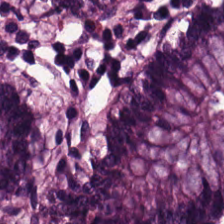Formalin-fixed paraffin-embedded section. WSI patch. H&E stain.
Q: What is shown here?
A: This is normal colon mucosa.
